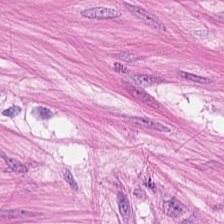H&E-stained tissue section.
Showing muscularis.
